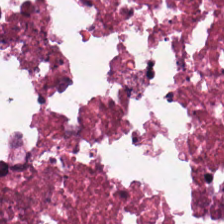H&E stain; 224×224 pixel tile. Classification = debris.
